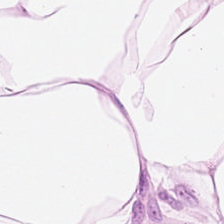Stain: hematoxylin-and-eosin stained section.
Classification: adipocytes.
